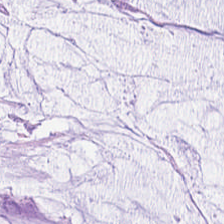H&E.
Extracellular mucin.
